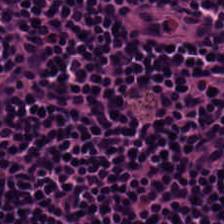Hematoxylin-and-eosin section: lymphocyte aggregate.
